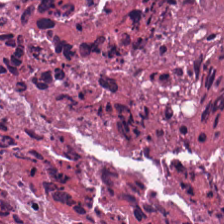H&E — Q: What type of tissue is this?
A: The field shows cellular debris.
